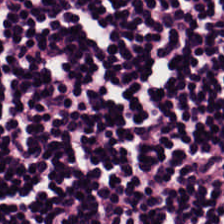224×224 px patch. H&E stain.
This patch shows lymphocytic infiltrate.
